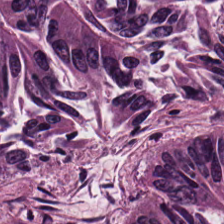H&E stain.
The tissue class is colorectal adenocarcinoma epithelium.
